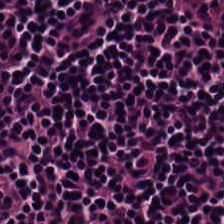H&E-stained tissue section.
Tissue class = lymphocytic infiltrate.
